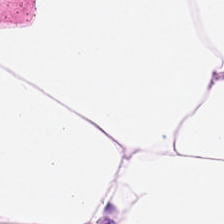Hematoxylin and eosin · brightfield microscopy · 224×224 px tile — Q: What is the predominant tissue type?
A: It is adipocytes.
